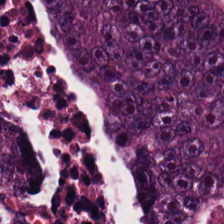H&E-stained tissue section. The predominant tissue is tumor epithelium.
